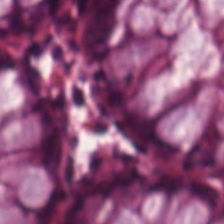Hematoxylin-and-eosin stained section. The predominant tissue is benign colonic mucosa.
